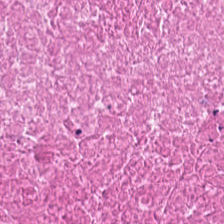Finding — cellular debris.
